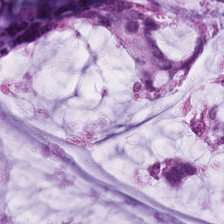Hematoxylin-and-eosin section: mucus.
